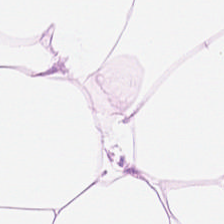Hematoxylin and eosin; formalin-fixed paraffin-embedded section. Predominantly adipose tissue.
